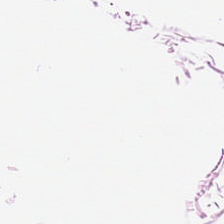H&E. The predominant tissue is fat tissue.
